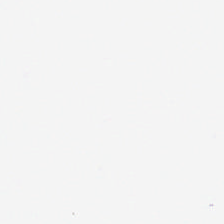FFPE tissue section · H&E stain. {"content": "background (no tissue)"}
